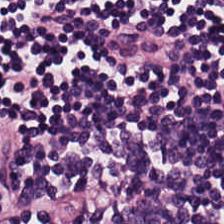0.5 µm per pixel. FFPE tissue section. Hematoxylin and eosin. The tissue is lymphocytic infiltrate.
